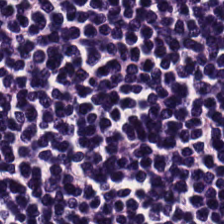H&E patch showing lymphocytes.
